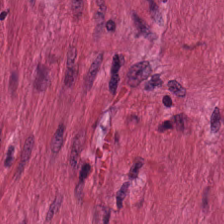Tissue = smooth muscle.
